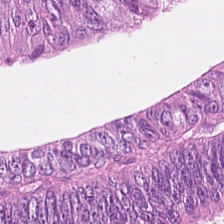H&E-stained tissue section.
This patch shows adenocarcinoma.
